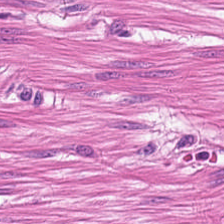Hematoxylin-and-eosin stained section — Finding → muscularis.
